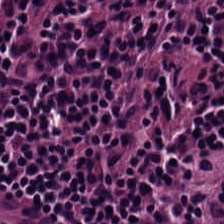FFPE · WSI patch · hematoxylin-and-eosin stained section — Showing lymphocytes.
